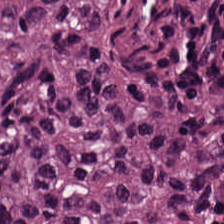The tissue here is colorectal adenocarcinoma epithelium.
